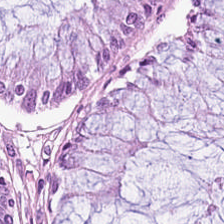H&E stain.
Q: What does this patch show?
A: The field shows normal colon mucosa.
